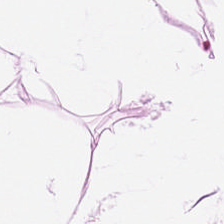Hematoxylin and eosin. {"tissue_type": "adipose"}
